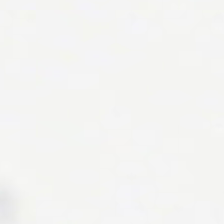Content — no tissue.
